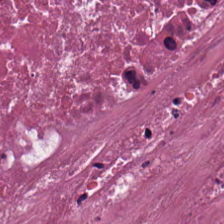H&E-stained tissue section.
Q: Identify the tissue.
A: Cellular debris.
